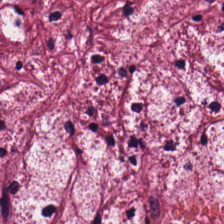Brightfield. H&E stain. 224×224 px tile.
Classification: desmoplastic stroma.
